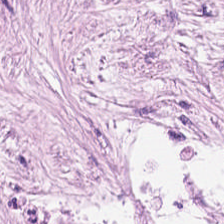Hematoxylin-and-eosin stained section.
Q: What is shown in this field?
A: The field shows desmoplastic stroma.
